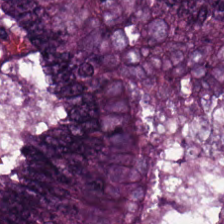H&E stain — The tissue here is tumor epithelium.
